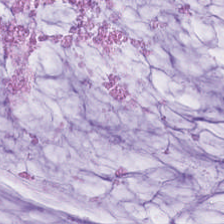Hematoxylin and eosin · 224×224 px patch. The predominant tissue is mucus.
